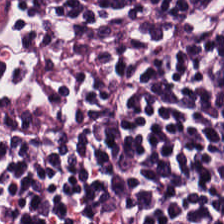WSI patch; hematoxylin and eosin; FFPE tissue section. Predominantly lymphocytic infiltrate.
